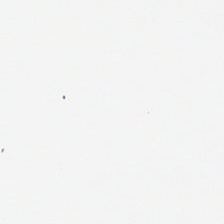H&E — Field content — no tissue.
